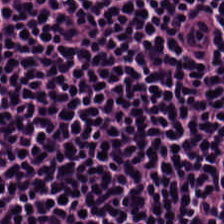Brightfield. H&E stain. The predominant tissue is lymphoid infiltrate.
